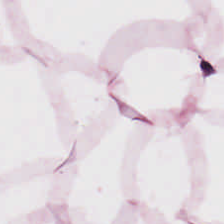H&E-stained tissue section — Showing adipose tissue.
